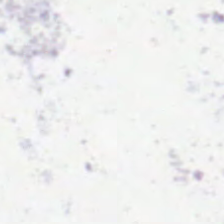Hematoxylin and eosin.
Q: Classify this patch.
A: Background (no tissue).
